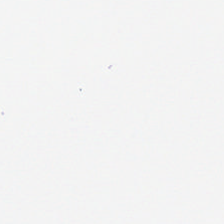No tissue present; background only.
